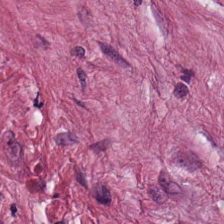224×224 px patch · H&E-stained tissue section.
Q: What tissue is shown?
A: Desmoplastic stroma.
